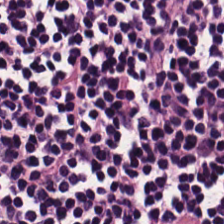Hematoxylin-and-eosin stained section; FFPE tissue section.
Finding → lymphocytic infiltrate.
